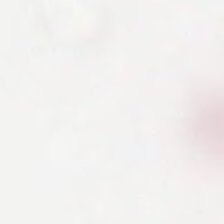Stain: hematoxylin and eosin.
Content: empty background.
